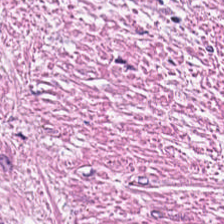Predominant tissue — tumor-associated stroma.
